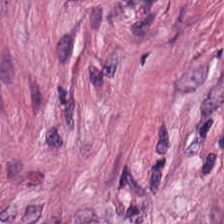H&E stain · WSI patch — Histology — desmoplastic stroma.
